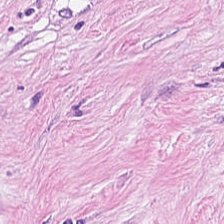FFPE · hematoxylin and eosin · 0.5 µm per pixel.
Classification: tumor stroma.
